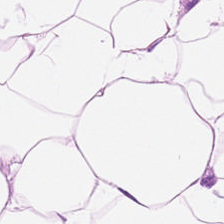Histology → fat tissue.
